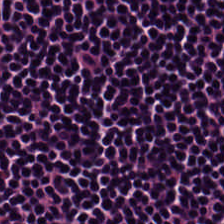This field is lymphocyte aggregate.
